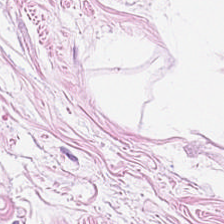Hematoxylin-and-eosin stained section; 0.5 µm per pixel; FFPE — The tissue is adipose tissue.
